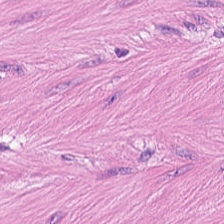H&E-stained tissue section. {"tissue_type": "muscularis"}
